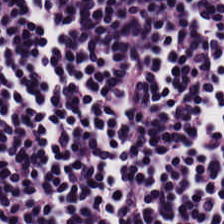H&E stain.
The tissue here is lymphocytic infiltrate.
